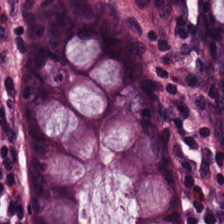H&E stain. This field is non-neoplastic colon mucosa.
